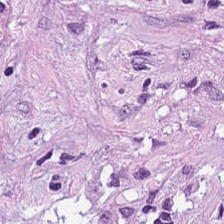Stain: hematoxylin-and-eosin stained section.
Preparation: FFPE.
Tissue class: desmoplastic stroma.
